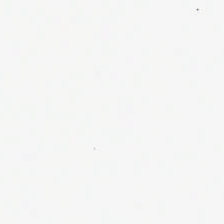Hematoxylin-and-eosin stained section; FFPE tissue section; 0.5 microns per pixel. No tissue present; background only.
